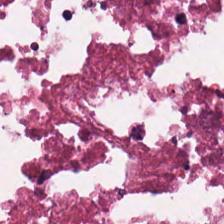Hematoxylin and eosin. The predominant tissue is necrotic debris.
